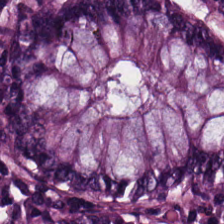Formalin-fixed paraffin-embedded section. Brightfield microscopy. Hematoxylin and eosin — Predominantly non-neoplastic colon mucosa.
